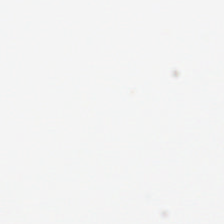Whole-slide-image patch. Hematoxylin and eosin — Q: What is shown in this field?
A: The field shows background.
